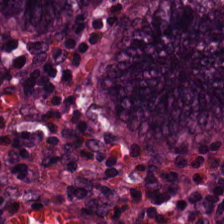Hematoxylin-and-eosin stained section · whole-slide-image patch — Q: What is shown in this field?
A: It is normal colon mucosa.
